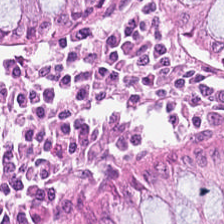Hematoxylin and eosin — Non-neoplastic colon mucosa.
